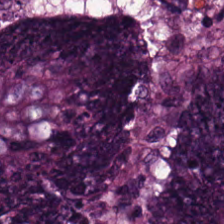Formalin-fixed paraffin-embedded section. H&E. WSI patch.
The predominant tissue is colorectal adenocarcinoma epithelium.
